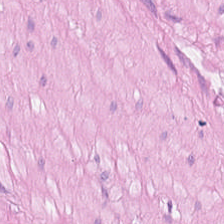H&E.
The classification is smooth muscle.
